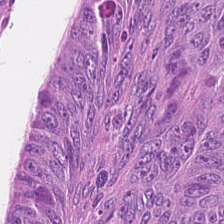H&E.
Impression → colorectal adenocarcinoma.
